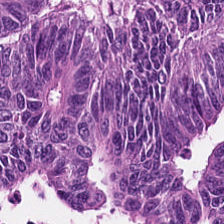H&E stain — Q: What type of tissue is this?
A: The field shows malignant epithelium.
